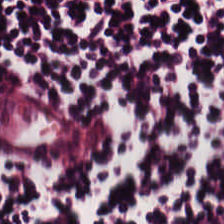Brightfield; hematoxylin-and-eosin stained section.
Tissue type = lymphocytes.
